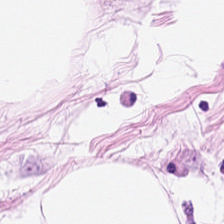224×224 pixel tile · hematoxylin and eosin — Predominantly adipose tissue.
